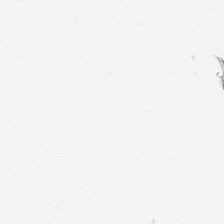H&E-stained tissue section. Empty field — background.
